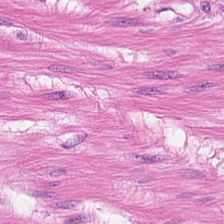Hematoxylin-and-eosin stained section.
The tissue is muscularis.
